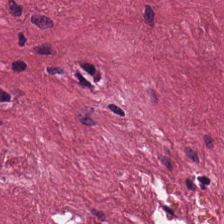FFPE · H&E-stained tissue section · 224×224 px tile — The tissue here is desmoplastic stroma.
